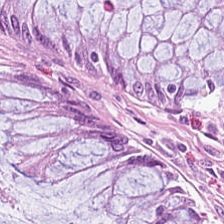Hematoxylin and eosin. FFPE — The tissue here is benign colonic mucosa.
